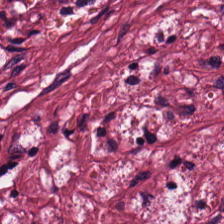The classification is cancer-associated stroma.
